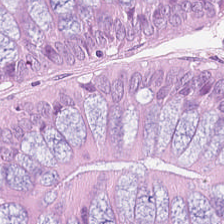0.5 µm/px; H&E; 224×224 px patch. Non-neoplastic colon mucosa.
